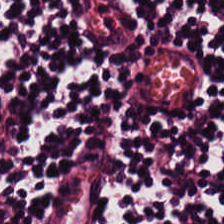Hematoxylin and eosin; 224×224 pixel tile; 20× equivalent magnification — Tissue type — lymphoid infiltrate.
